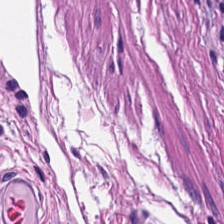Finding — smooth muscle.
